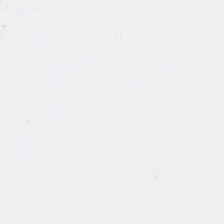Hematoxylin and eosin.
Empty field — background.
